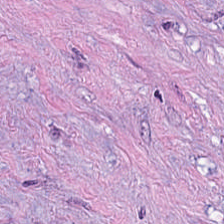Hematoxylin and eosin. 0.5 µm per pixel. This field is desmoplastic stroma.
